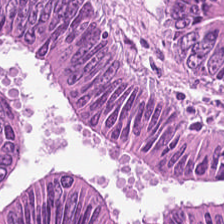Hematoxylin and eosin. This field is colorectal adenocarcinoma.
